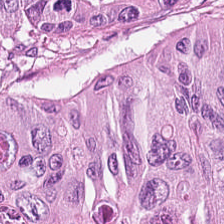H&E. 0.5 microns per pixel. Brightfield microscopy — The tissue here is adenocarcinoma.
